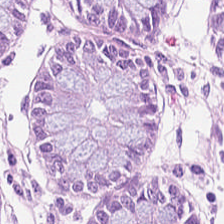Hematoxylin and eosin. Predominant tissue — non-neoplastic colon mucosa.
